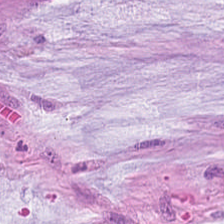FFPE tissue section; hematoxylin-and-eosin stained section — Finding → mucus.
